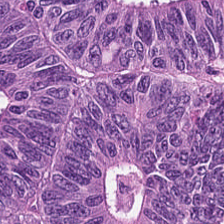The predominant tissue is colorectal adenocarcinoma epithelium.
